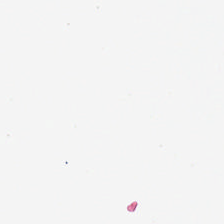Hematoxylin and eosin.
Q: What is shown in this field?
A: This is no tissue.
